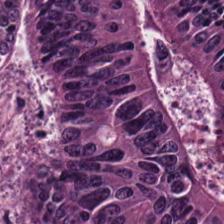Hematoxylin-and-eosin stained section — Q: What tissue type is shown here?
A: The field shows colorectal adenocarcinoma epithelium.
